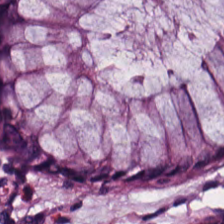0.5 µm per pixel · H&E stain · brightfield microscopy — Impression — benign colonic mucosa.
